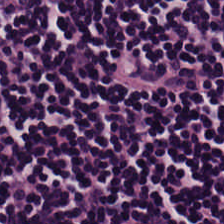Stain: H&E-stained tissue section.
Tile size: 224×224 pixel tile.
Classification: lymphoid infiltrate.
